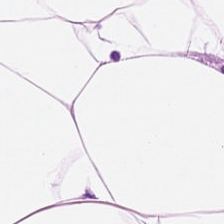H&E-stained tissue section.
Histology → adipose tissue.
